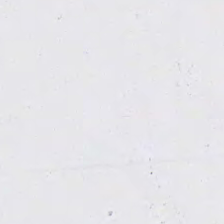Hematoxylin and eosin; FFPE tissue section; 0.5 microns per pixel.
Background — no tissue in this field.
